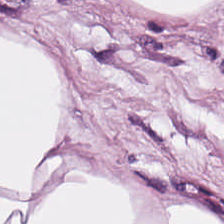Hematoxylin-and-eosin stained section. Whole-slide-image patch — Q: What is the predominant tissue type?
A: Adipocytes.
